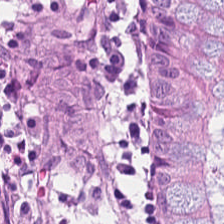Non-neoplastic colon mucosa.
